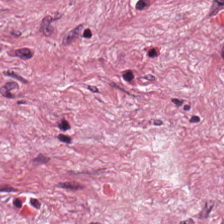Q: What is shown here?
A: It is tumor stroma.
